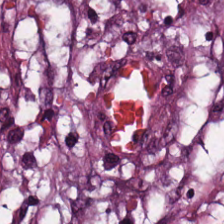Q: What tissue type is shown here?
A: Desmoplastic stroma.
